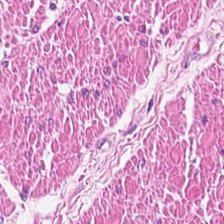Stain: H&E.
Predominant tissue: muscularis.
